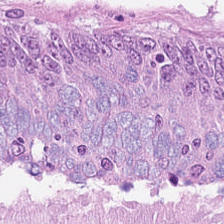H&E-stained tissue section. Histology — tumor epithelium.
